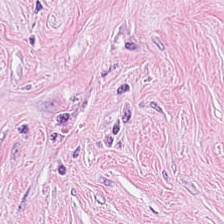Hematoxylin-and-eosin stained section. This patch shows cancer-associated stroma.
